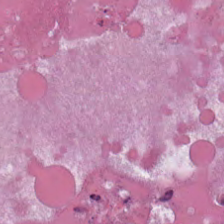224×224 px tile. 0.5 µm/px. H&E-stained tissue section.
{"tissue_type": "cellular debris"}
